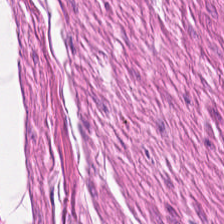Hematoxylin-and-eosin stained section · 20× equivalent magnification — Tissue class = muscularis.
